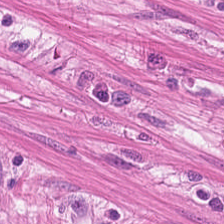Stain: hematoxylin-and-eosin stained section.
Acquisition: WSI patch.
Classification: smooth muscle.
